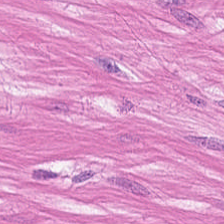Hematoxylin and eosin · 20× equivalent magnification · brightfield microscopy. This field is smooth muscle.
